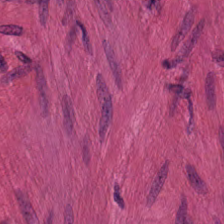H&E stain — Q: What is shown here?
A: This is smooth muscle.
